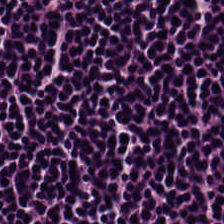H&E — This patch shows lymphocytic infiltrate.
